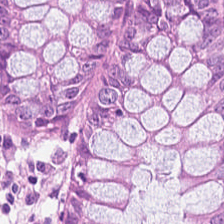Hematoxylin and eosin.
Predominantly benign colonic mucosa.
